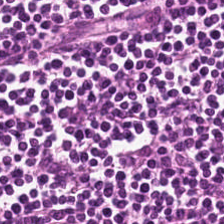H&E stain. The predominant tissue is lymphocytic infiltrate.
